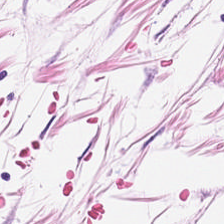H&E-stained tissue section. 224×224 pixel tile. Formalin-fixed paraffin-embedded section.
Tissue — adipose.
